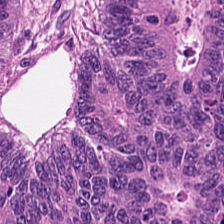Q: What type of tissue is this?
A: Tumor epithelium.
